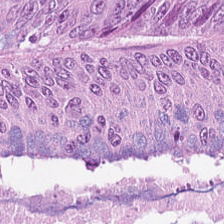H&E stain; 224×224 px tile.
Classification = malignant epithelium.
